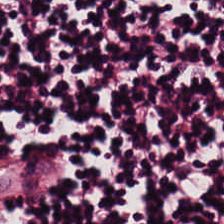Stain: H&E.
Tile size: 224×224 px tile.
Tissue class: lymphocytes.
